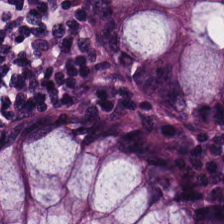Predominantly benign colonic mucosa.
